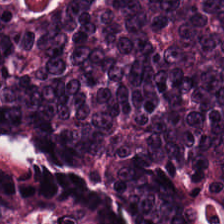224×224 pixel tile; H&E. Predominantly adenocarcinoma.
